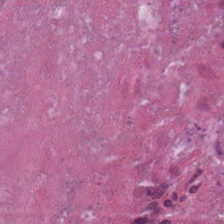Tissue class: cellular debris.
